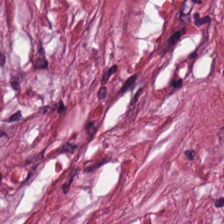H&E stain. Tumor-associated stroma.
